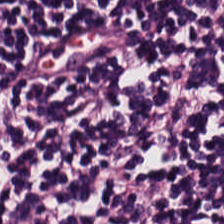Whole-slide-image patch. H&E.
Histology → lymphocytes.
